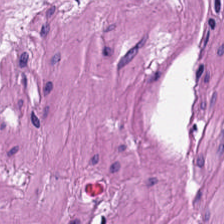224×224 px tile. H&E-stained tissue section. FFPE — This field is muscularis.
